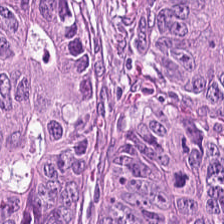Hematoxylin and eosin · 0.5 microns per pixel — Impression — malignant epithelium.
